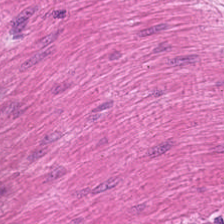Impression — smooth muscle.
